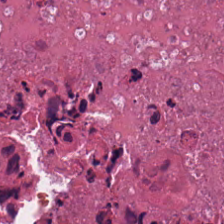Hematoxylin and eosin.
Finding — cellular debris.
